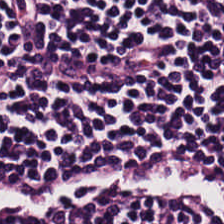H&E stain. Brightfield. 0.5 microns per pixel.
Q: What is shown here?
A: The field shows lymphocyte aggregate.
